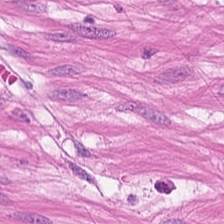H&E; 224×224 pixel tile — Classification = muscularis.
